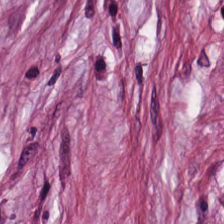H&E stain. This patch shows cancer-associated stroma.
